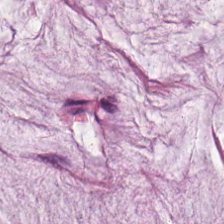Q: What type of tissue is this?
A: It is extracellular mucin.
